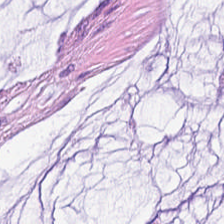Q: Identify the tissue.
A: Extracellular mucin.
